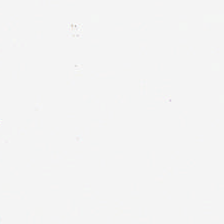Hematoxylin-and-eosin stained section. Q: Classify this patch.
A: It is no tissue.
